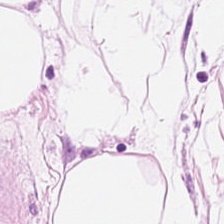The classification is fat tissue.
